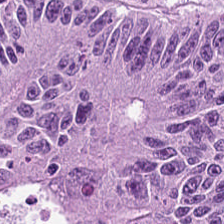H&E-stained tissue section.
Impression — colorectal adenocarcinoma epithelium.
